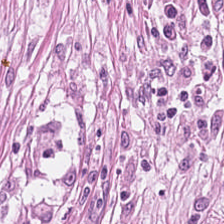FFPE tissue section · H&E stain · whole-slide-image patch. Predominantly desmoplastic stroma.
